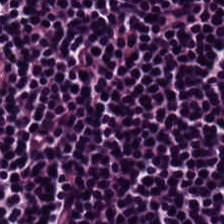Stain: H&E.
Tissue class: lymphocytic infiltrate.
